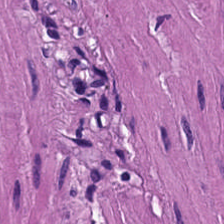FFPE. Hematoxylin-and-eosin stained section. {"tissue_type": "smooth muscle"}
